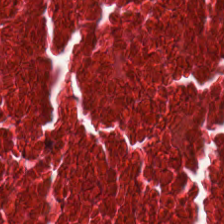Finding — debris.
